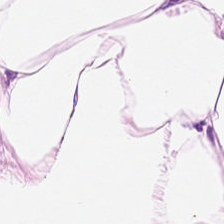Stain: H&E.
Predominant tissue: adipocytes.
